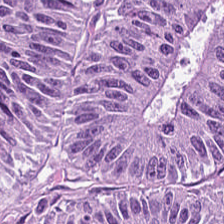H&E-stained tissue section.
Showing colorectal adenocarcinoma epithelium.
